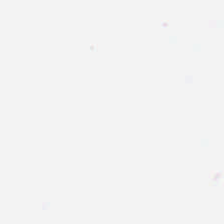Hematoxylin and eosin. Empty field — background.
